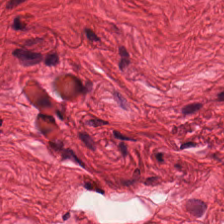224×224 px patch. H&E stain — Smooth muscle.
